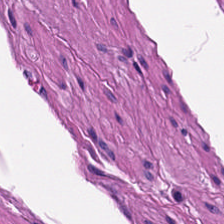Impression — muscularis.
